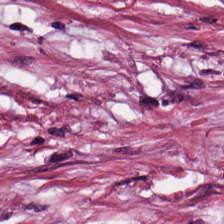H&E stain; FFPE tissue section — Classification: tumor-associated stroma.
